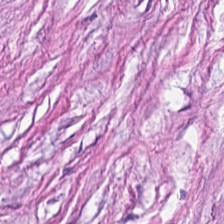H&E — This field is desmoplastic stroma.
